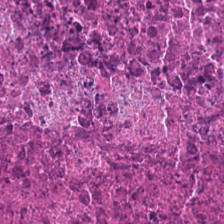The predominant tissue is debris.
